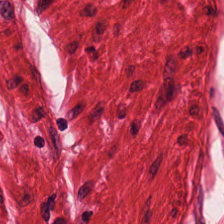H&E stain; 224×224 pixel tile.
Muscularis.
